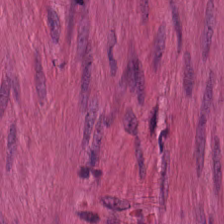H&E-stained tissue section. FFPE — Predominant tissue: smooth muscle.
